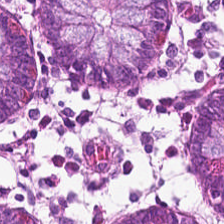Stain: H&E stain.
Tissue type: normal colon mucosa.
